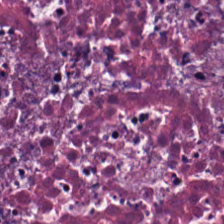H&E patch showing necrotic debris.
